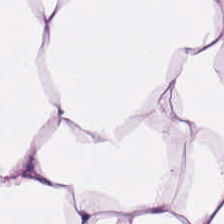224×224 px patch · 0.5 microns per pixel · hematoxylin-and-eosin stained section.
Predominantly adipose tissue.
